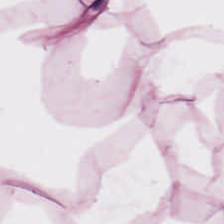The tissue is fat tissue.
